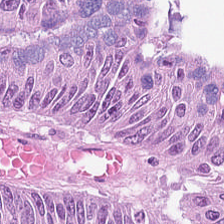H&E-stained tissue section. WSI patch. The predominant tissue is tumor epithelium.
